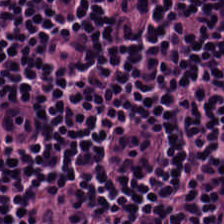0.5 µm per pixel. Hematoxylin-and-eosin stained section.
Q: Identify the tissue.
A: Lymphocytic infiltrate.
